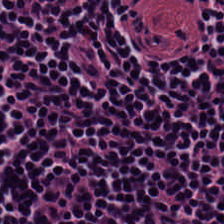Hematoxylin and eosin · formalin-fixed paraffin-embedded section · 0.5 µm per pixel.
The tissue class is lymphocyte aggregate.
